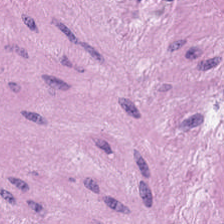Stain: H&E.
Acquisition: WSI patch.
Predominant tissue: smooth muscle.
